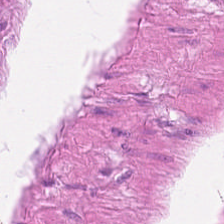Stain: hematoxylin-and-eosin stained section.
Preparation: FFPE tissue section.
Tissue: muscularis.
